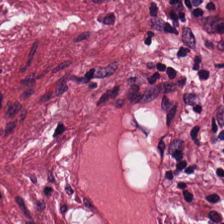Tissue = cancer-associated stroma.
